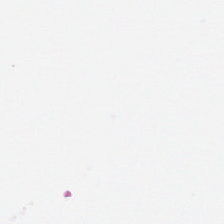H&E stain. WSI patch. 224×224 px patch. Empty field — empty background.
